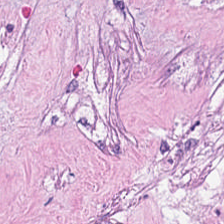H&E-stained tissue section. Brightfield.
{"tissue_type": "necrotic debris"}
